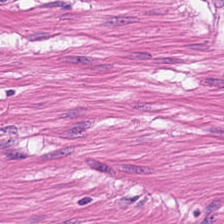Hematoxylin-and-eosin stained section — This field is smooth-muscle tissue.
